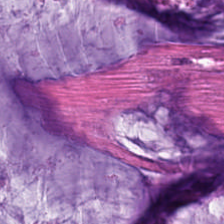{"tissue_type": "mucus"}
